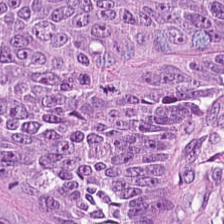Hematoxylin-and-eosin stained section — The tissue here is malignant epithelium.
